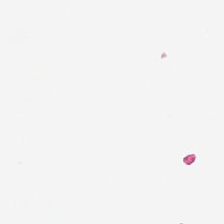H&E-stained tissue section.
Classification: background.
